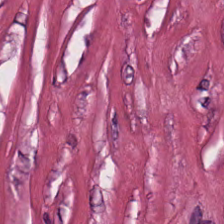H&E stain · FFPE. Tissue class — tumor-associated stroma.
